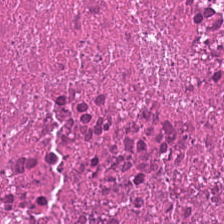Hematoxylin-and-eosin stained section.
This patch shows debris.
